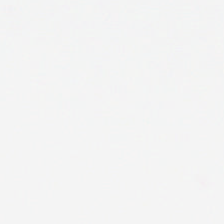Hematoxylin-and-eosin stained section — Q: What is shown in this field?
A: The field shows background.
